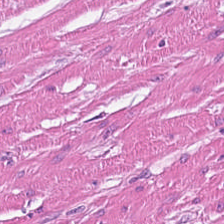The predominant tissue is smooth muscle.
